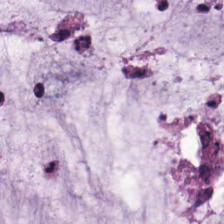FFPE tissue section; 0.5 µm per pixel; H&E stain. The tissue class is mucus.
